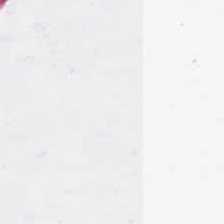Stain: H&E stain.
Content: background.
